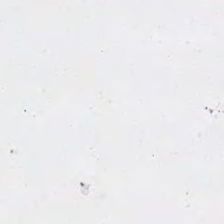20× equivalent magnification. Brightfield microscopy. Hematoxylin and eosin.
Q: What does this patch show?
A: The field shows background.
